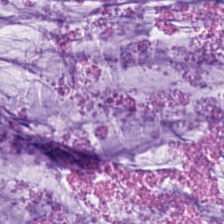Stain: H&E-stained tissue section.
Classification: mucin.
